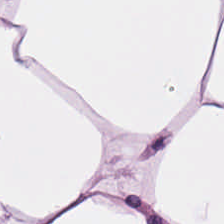Q: What is the predominant tissue type?
A: It is adipose tissue.
